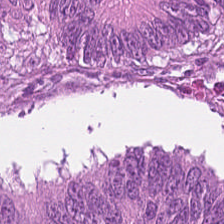The classification is adenocarcinoma.
